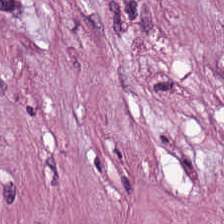H&E.
Q: What tissue type is shown here?
A: The field shows desmoplastic stroma.
